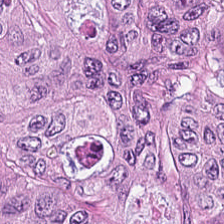The tissue class is colorectal adenocarcinoma epithelium.
